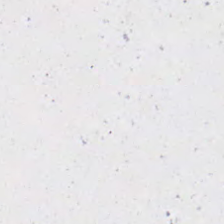Hematoxylin and eosin.
Field content = background.
